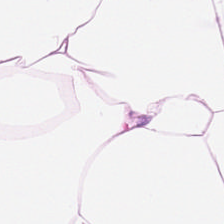H&E-stained tissue section. FFPE.
Q: Classify this patch.
A: The field shows adipose tissue.
